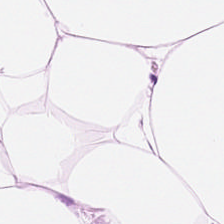H&E · WSI patch — Showing adipocytes.
